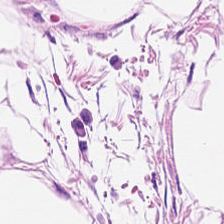Hematoxylin and eosin — This patch shows adipose tissue.
